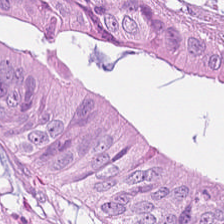The tissue is adenocarcinoma.
